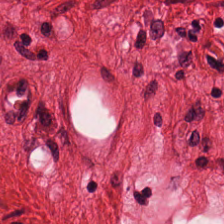This field is smooth-muscle tissue.
